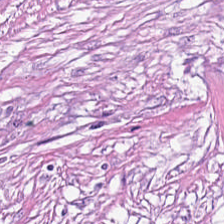Hematoxylin and eosin. The predominant tissue is desmoplastic stroma.
